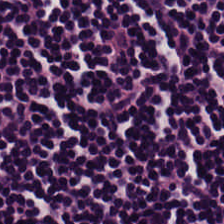Formalin-fixed paraffin-embedded section · hematoxylin and eosin · 224×224 pixel tile. The predominant tissue is lymphocytes.
